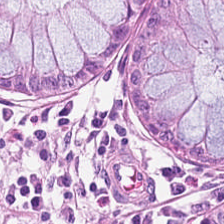H&E stain.
Impression → benign colonic mucosa.
